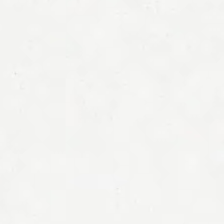0.5 µm/px; hematoxylin-and-eosin stained section.
Classification — no tissue.
